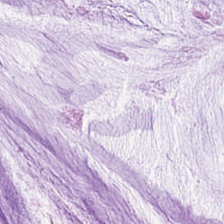FFPE tissue section · hematoxylin and eosin.
Predominantly mucus.
